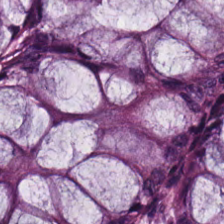Hematoxylin and eosin. This patch shows normal colonic mucosa.
